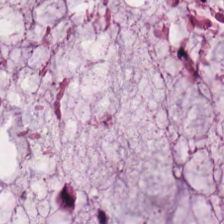Hematoxylin and eosin. Impression — mucus.
